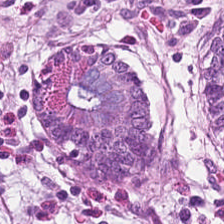H&E.
Q: What is the predominant tissue type?
A: This is non-neoplastic colon mucosa.
